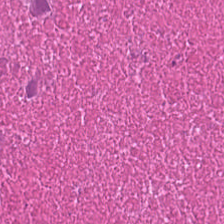Brightfield microscopy · H&E-stained tissue section — This field is cellular debris.
